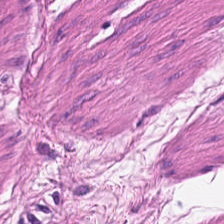{"tissue_type": "smooth-muscle tissue"}
